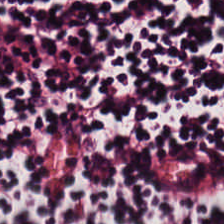224×224 px tile. H&E stain. 0.5 microns per pixel. Tissue class = lymphocyte aggregate.
